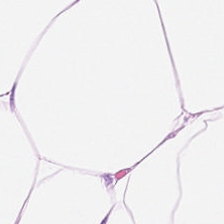Hematoxylin and eosin — Predominantly adipose tissue.
